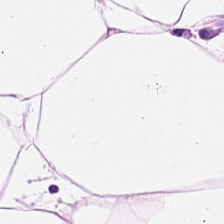Hematoxylin and eosin · brightfield · FFPE.
Q: Identify the tissue.
A: It is adipose tissue.
